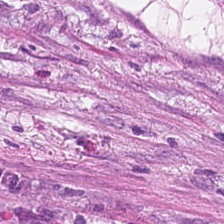Hematoxylin and eosin. FFPE tissue section.
This patch shows cancer-associated stroma.
